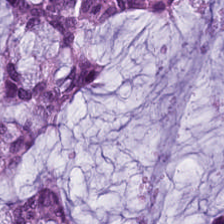0.5 µm/px; H&E stain.
Q: What type of tissue is this?
A: The field shows extracellular mucin.
